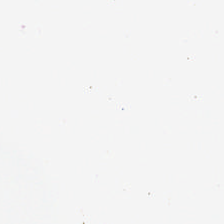Q: What does this patch show?
A: The field shows empty background.
